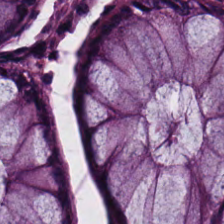Hematoxylin and eosin · WSI patch.
Tissue type = non-neoplastic colon mucosa.
